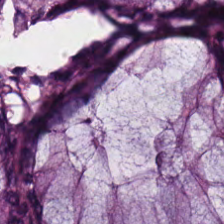Tissue = non-neoplastic colon mucosa.
